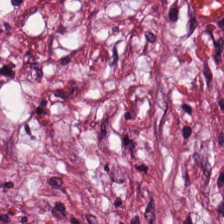Stain: hematoxylin and eosin.
Tissue class: desmoplastic stroma.
